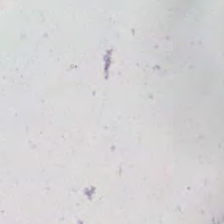This patch shows empty background.
